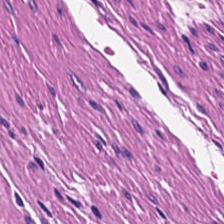H&E-stained tissue section.
The tissue type is muscularis.
